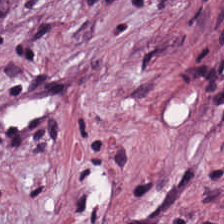H&E; 0.5 µm per pixel; FFPE tissue section. Showing tumor-associated stroma.
